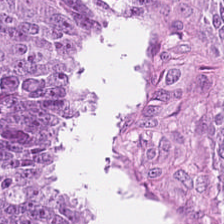H&E — The tissue type is colorectal adenocarcinoma.
